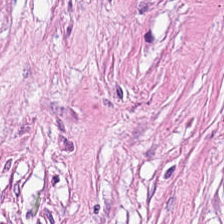H&E stain.
Tumor-associated stroma.
